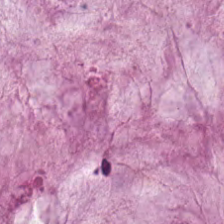Hematoxylin and eosin · whole-slide-image patch.
This patch shows extracellular mucin.
